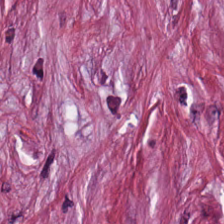Stain: hematoxylin and eosin.
Tissue type: tumor-associated stroma.
